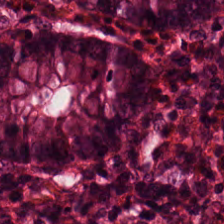H&E-stained tissue section — {"tissue_type": "normal colonic mucosa"}
